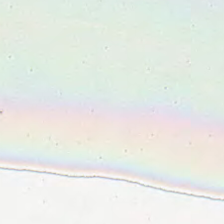H&E-stained tissue section; WSI patch.
Empty background.
